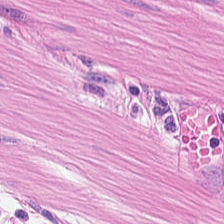Hematoxylin-and-eosin stained section.
Finding — muscularis.
